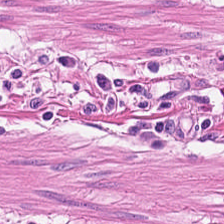Showing smooth-muscle tissue.
